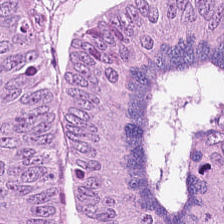Predominantly adenocarcinoma.
